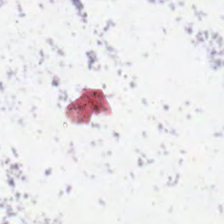FFPE; H&E stain. Q: What is shown in this field?
A: It is background (no tissue).
